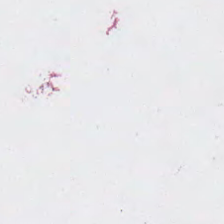Hematoxylin and eosin · WSI patch.
This patch shows no tissue.
